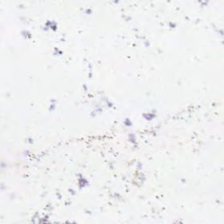Empty field — empty background.
